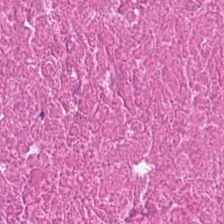Formalin-fixed paraffin-embedded section. Brightfield microscopy. Hematoxylin-and-eosin stained section.
Showing necrotic debris.
